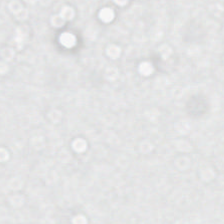224×224 px tile · hematoxylin-and-eosin stained section.
Content = background.
